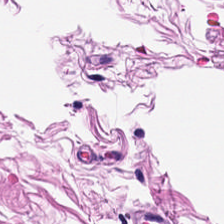H&E stain — Predominantly muscularis.
